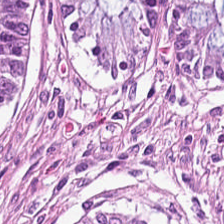Q: What is shown here?
A: The field shows benign colonic mucosa.
